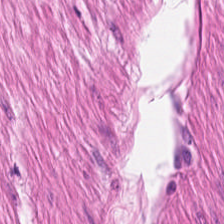H&E-stained tissue section.
Q: What does this patch show?
A: Smooth-muscle tissue.
